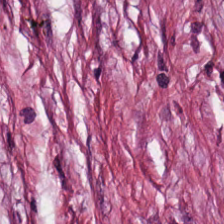Stain: hematoxylin-and-eosin stained section.
Tissue class: tumor-associated stroma.
